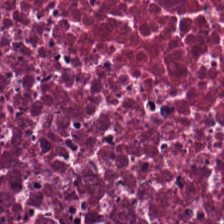Hematoxylin and eosin. 224×224 px patch. FFPE tissue section. This field is debris.
